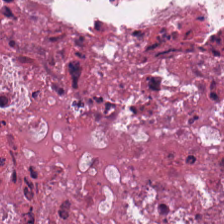Hematoxylin and eosin. Classification — cellular debris.
